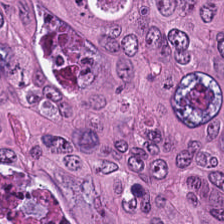H&E — Colorectal adenocarcinoma epithelium.
